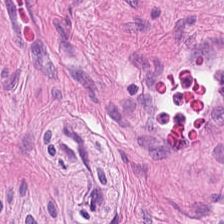Q: What tissue is shown?
A: This is smooth muscle.
